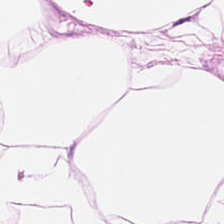Tissue — adipose.
